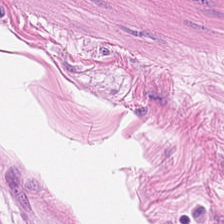Stain: hematoxylin and eosin.
Tissue: muscularis.
